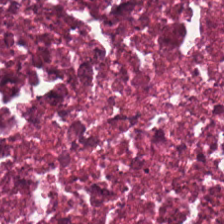Stain: H&E-stained tissue section.
Tissue type: necrotic debris.
